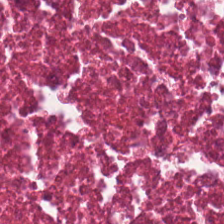WSI patch · H&E-stained tissue section · formalin-fixed paraffin-embedded section.
This field is cellular debris.
